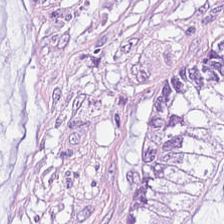H&E-stained tissue section. 224×224 px patch — Showing extracellular mucin.
